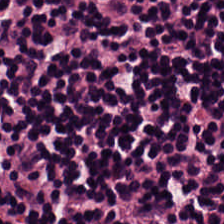Q: What tissue is shown?
A: The field shows lymphocytes.
